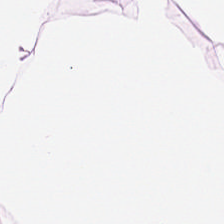H&E — Finding → adipose.
